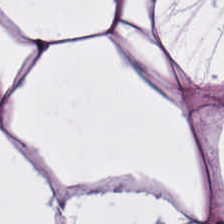H&E-stained section; the field shows fat tissue.
